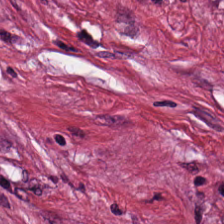Q: What is shown in this field?
A: The field shows tumor stroma.
